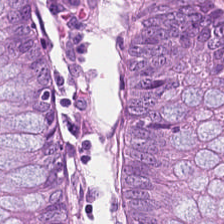Q: What is shown here?
A: Normal colonic mucosa.
